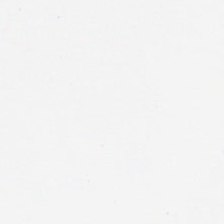H&E stain.
Q: Classify this patch.
A: The field shows background (no tissue).
